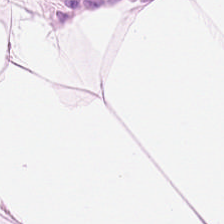H&E — The tissue here is adipose.
